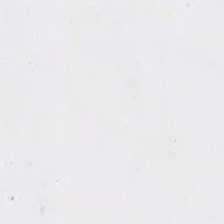Hematoxylin and eosin. Field content: background (no tissue).
